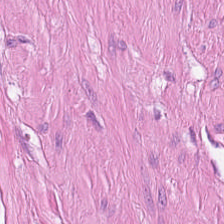H&E-stained tissue section.
The classification is smooth-muscle tissue.
